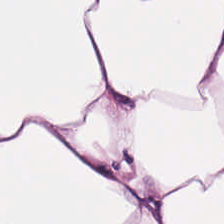Q: Classify this patch.
A: The field shows adipose tissue.
